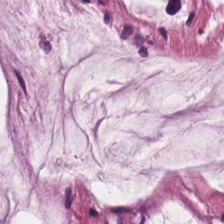Stain: H&E.
Preparation: formalin-fixed paraffin-embedded section.
Tissue class: mucin.
